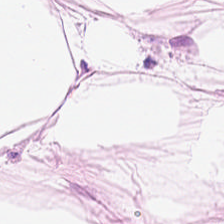H&E. Adipose tissue.
